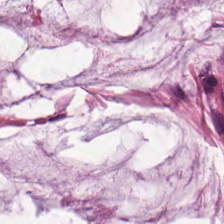224×224 px tile · hematoxylin-and-eosin stained section. The tissue here is extracellular mucin.
